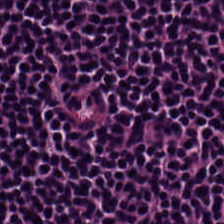Brightfield. H&E — Q: Identify the tissue.
A: Lymphocytes.
